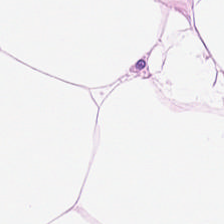H&E — Tissue type = adipose.
